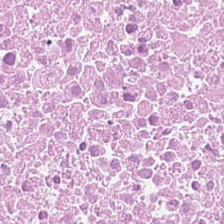H&E stain. Q: What is shown in this field?
A: The field shows debris.
